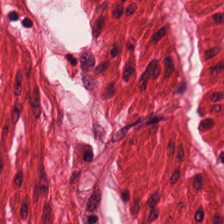Q: What type of tissue is this?
A: Smooth-muscle tissue.
